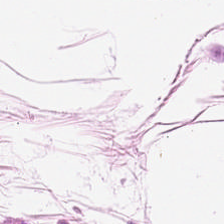Hematoxylin and eosin; whole-slide-image patch — Fat tissue.
